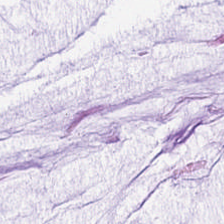Stain: H&E-stained tissue section.
Tile size: 224×224 pixel tile.
Tissue: extracellular mucin.
